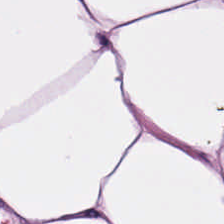Hematoxylin and eosin; WSI patch; 20× equivalent magnification.
Finding → fat tissue.
